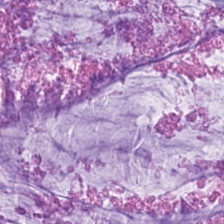224×224 px patch; H&E-stained tissue section; 0.5 µm per pixel.
Impression — mucin.
